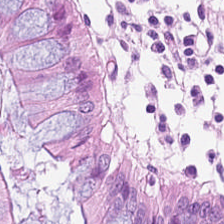H&E — normal colonic mucosa.
